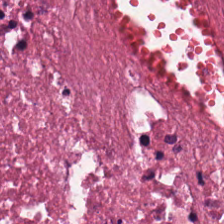Hematoxylin and eosin · 224×224 px patch — The tissue is cellular debris.
